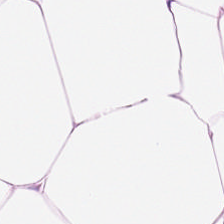H&E-stained tissue section — The predominant tissue is adipocytes.
